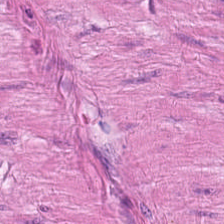H&E-stained tissue section. 20× equivalent magnification. This field is smooth-muscle tissue.
